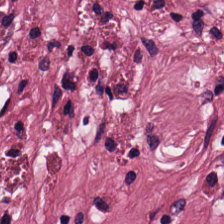H&E-stained tissue section. Whole-slide-image patch. FFPE — This patch shows desmoplastic stroma.
